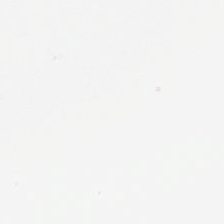Background (no tissue).
